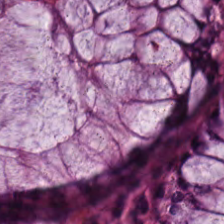Brightfield; hematoxylin-and-eosin stained section — This field is benign colonic mucosa.
